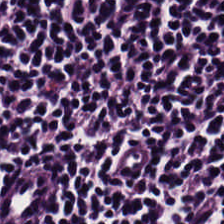This patch shows lymphocytes.
